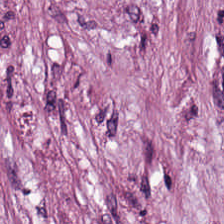0.5 microns per pixel. H&E stain — This patch shows tumor-associated stroma.
